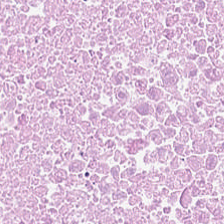Hematoxylin and eosin. This patch shows cellular debris.
